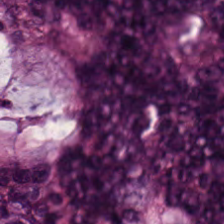20× equivalent magnification; formalin-fixed paraffin-embedded section; H&E. Classification = colorectal adenocarcinoma.
